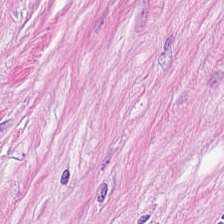Classification: tumor-associated stroma.
